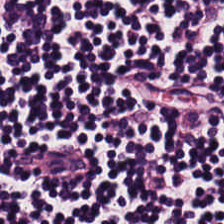Hematoxylin-and-eosin stained section — Lymphocytes.
